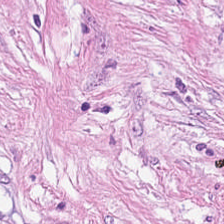H&E stain — The predominant tissue is tumor stroma.
